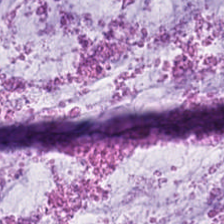H&E-stained tissue section. 224×224 px tile.
Showing mucus.
